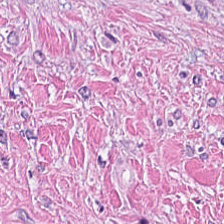H&E stain. Q: What type of tissue is this?
A: This is tumor-associated stroma.
